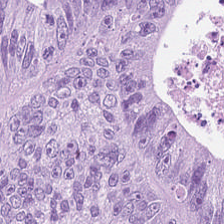Impression — adenocarcinoma.
